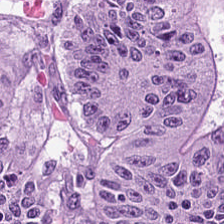Hematoxylin-and-eosin stained section — Q: Identify the tissue.
A: Colorectal adenocarcinoma epithelium.
